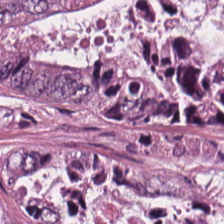H&E.
This patch shows tumor epithelium.
